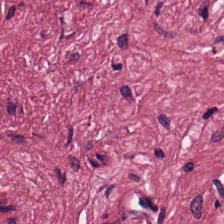Hematoxylin-and-eosin stained section — The predominant tissue is tumor-associated stroma.
